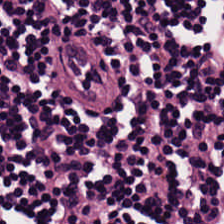H&E-stained tissue section — Predominantly lymphocyte aggregate.
